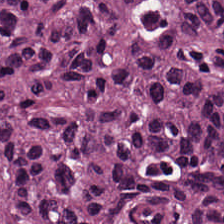H&E — colorectal adenocarcinoma.
